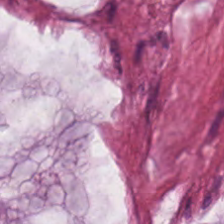H&E-stained tissue section showing extracellular mucin.
